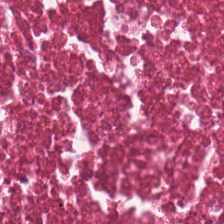Hematoxylin-and-eosin stained section. Brightfield microscopy.
Q: What is the predominant tissue type?
A: The field shows debris.
